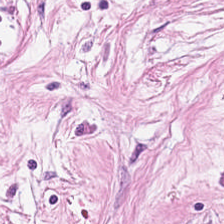H&E stain; 0.5 µm/px.
Q: What tissue is shown?
A: This is tumor stroma.
